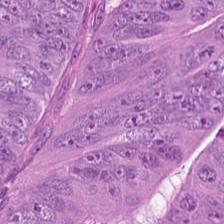224×224 pixel tile · hematoxylin-and-eosin stained section · formalin-fixed paraffin-embedded section. {"tissue_type": "tumor epithelium"}
